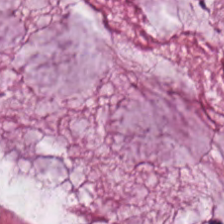{"tissue_type": "mucus"}
